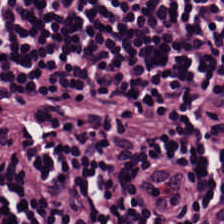H&E. Lymphocytic infiltrate.
